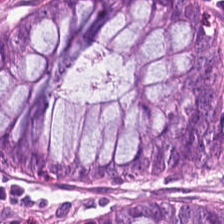H&E-stained tissue section · 224×224 px tile · 20× equivalent magnification. Q: What is shown in this field?
A: The field shows non-neoplastic colon mucosa.
